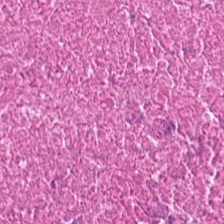FFPE tissue section. 224×224 px tile. Hematoxylin and eosin — {"tissue_type": "necrotic debris"}
